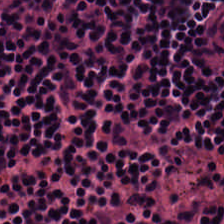Predominantly lymphoid infiltrate.
